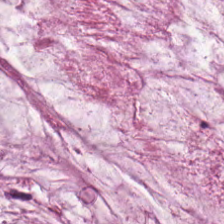Hematoxylin-and-eosin stained section — The classification is extracellular mucin.
